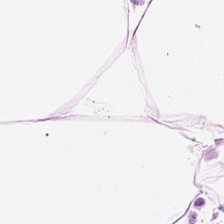Hematoxylin-and-eosin stained section; WSI patch — Histology — adipose.
